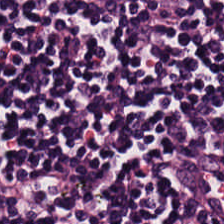Hematoxylin and eosin.
Tissue class — lymphocyte aggregate.
